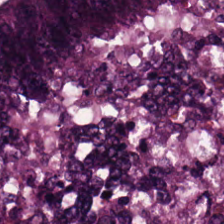Classification = malignant epithelium.
